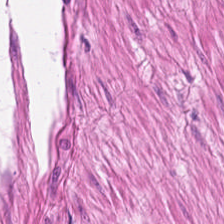H&E stain. 224×224 pixel tile. Brightfield.
The classification is muscularis.
